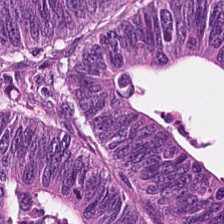Stain: hematoxylin and eosin.
Tissue: tumor epithelium.
